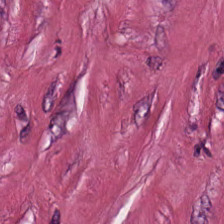H&E — Finding — tumor stroma.
